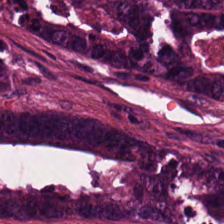Stain: hematoxylin and eosin.
Resolution: 0.5 µm per pixel.
Acquisition: whole-slide-image patch.
Classification: malignant epithelium.
